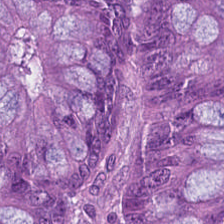Stain: hematoxylin and eosin.
Predominant tissue: colorectal adenocarcinoma.
